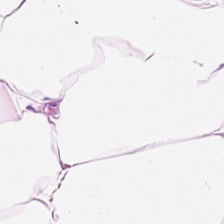H&E stain.
Adipose.
